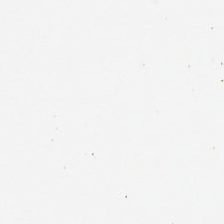H&E — Background (no tissue).
